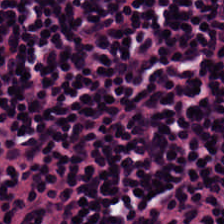The predominant tissue is lymphocytes.
